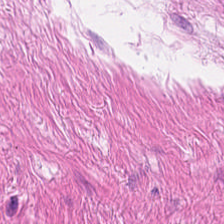H&E-stained tissue section — This patch shows smooth-muscle tissue.
